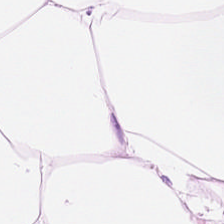H&E-stained tissue section — Adipose tissue.
